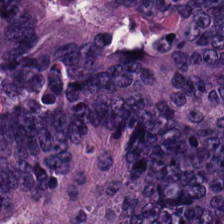Formalin-fixed paraffin-embedded section. H&E-stained tissue section.
The tissue here is tumor epithelium.
